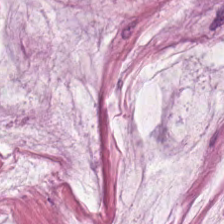Q: What is shown here?
A: Extracellular mucin.
